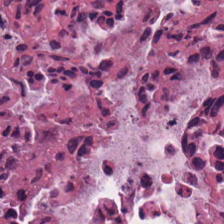Hematoxylin-and-eosin stained section. Tissue: cellular debris.
